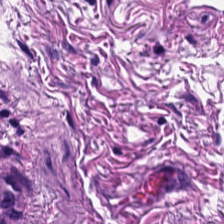Classification: smooth-muscle tissue.
